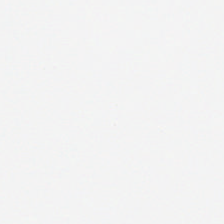Stain: H&E stain.
Field content: no tissue.
